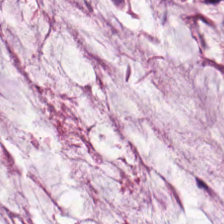224×224 pixel tile; hematoxylin and eosin; FFPE — Finding — extracellular mucin.
